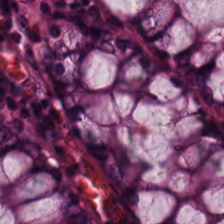H&E-stained tissue section.
Tissue type — normal colonic mucosa.
